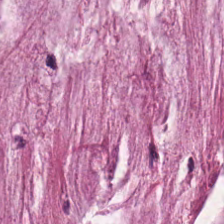Hematoxylin and eosin · 224×224 px patch.
The predominant tissue is extracellular mucin.
